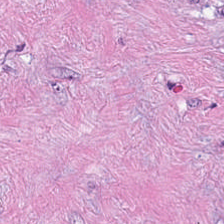Hematoxylin and eosin. 0.5 µm/px.
Impression — desmoplastic stroma.
